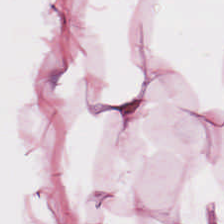Stain: H&E.
Tissue: adipocytes.
